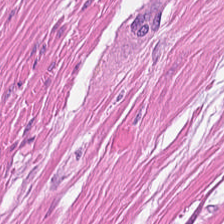FFPE tissue section · H&E-stained tissue section.
Tissue type = muscularis.
